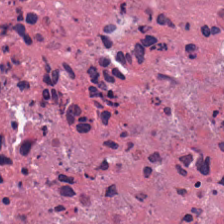WSI patch · H&E-stained tissue section. This patch shows cellular debris.
